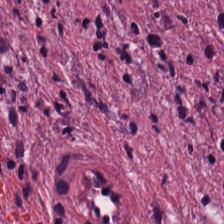H&E stain — Finding → cancer-associated stroma.
